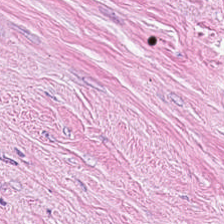WSI patch. H&E-stained tissue section. 0.5 microns per pixel. Tissue type — tumor stroma.
